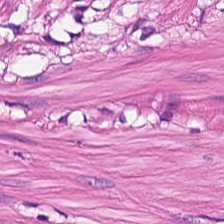Q: Identify the tissue.
A: This is smooth-muscle tissue.
